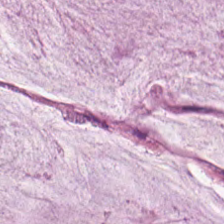Hematoxylin and eosin. Predominantly mucus.
